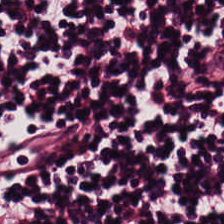Q: Classify this patch.
A: The field shows lymphoid infiltrate.
